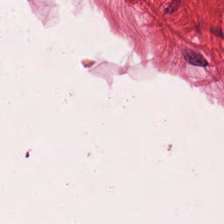Stain: H&E-stained tissue section.
Tissue: muscularis.
